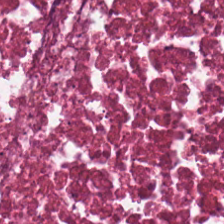Showing debris.
